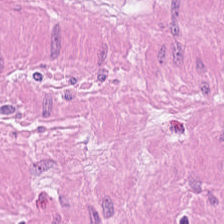FFPE; hematoxylin-and-eosin stained section.
Predominantly muscularis.
